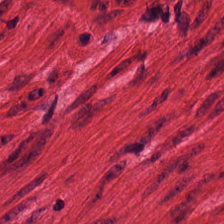Q: Identify the tissue.
A: The field shows muscularis.
